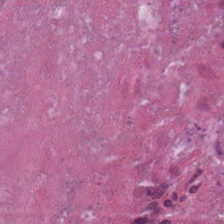Hematoxylin-and-eosin section: debris.
